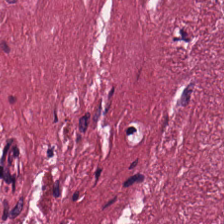Q: What tissue type is shown here?
A: It is tumor stroma.
